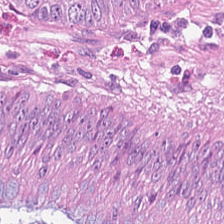H&E — The tissue here is malignant epithelium.
